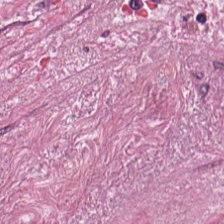H&E stain.
Q: What type of tissue is this?
A: The field shows desmoplastic stroma.
